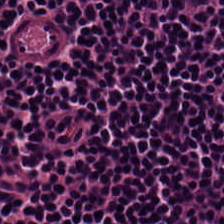H&E — lymphocytes.
